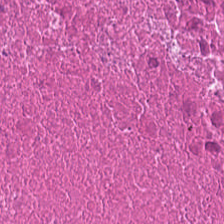Predominant tissue — debris.
